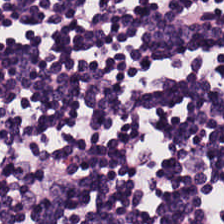H&E stain. This patch shows lymphocytic infiltrate.
